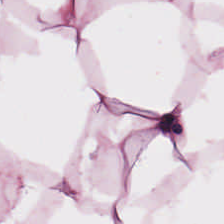H&E stain · 224×224 pixel tile · formalin-fixed paraffin-embedded section.
Impression → adipose tissue.
